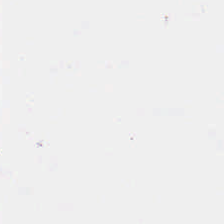The content is background.
